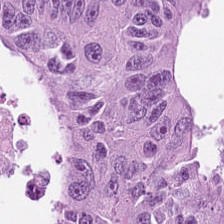Q: What is the predominant tissue type?
A: The field shows colorectal adenocarcinoma.
